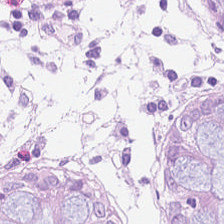FFPE; 0.5 µm per pixel; H&E stain — Predominantly normal colonic mucosa.
